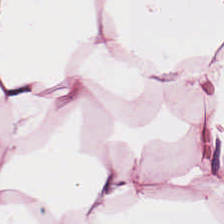This patch shows fat tissue.
